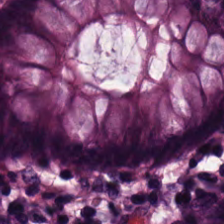Stain: hematoxylin and eosin.
Resolution: 0.5 µm/px.
Tissue type: non-neoplastic colon mucosa.
